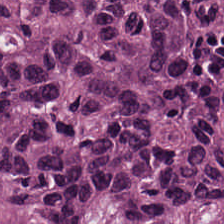H&E — Q: What type of tissue is this?
A: The field shows tumor epithelium.
